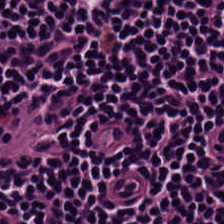Tissue type = lymphoid infiltrate.
